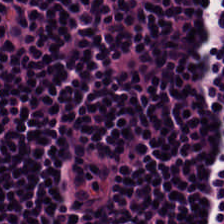Tissue class: lymphocyte aggregate.
